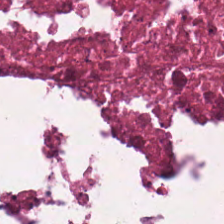Hematoxylin-and-eosin stained section. Impression — necrotic debris.
